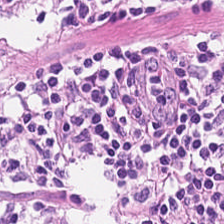Hematoxylin and eosin.
Q: What does this patch show?
A: The field shows lymphocytic infiltrate.
